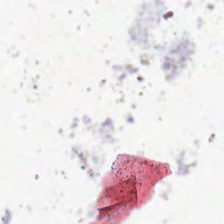Hematoxylin-and-eosin stained section.
Background — no tissue in this field.
